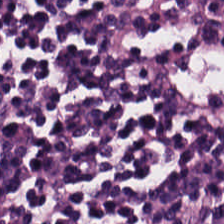H&E-stained tissue section — Histology → lymphocyte aggregate.
